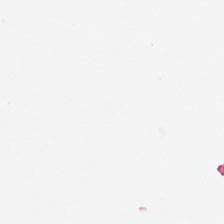Stain: H&E-stained tissue section.
Content: empty background.
